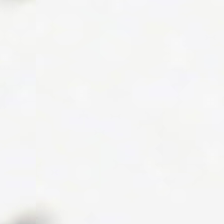FFPE tissue section; brightfield; H&E.
Empty field — background (no tissue).
